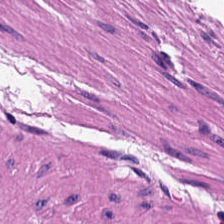Classification — smooth muscle.
